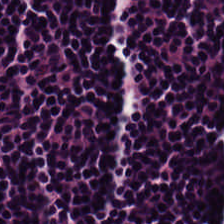20× equivalent magnification · H&E stain. Impression → lymphoid infiltrate.
